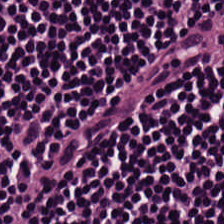0.5 µm per pixel · 224×224 pixel tile · H&E-stained tissue section. Tissue class = lymphocytes.
